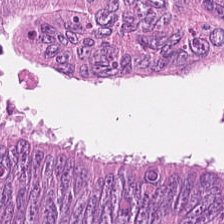H&E stain — Malignant epithelium.
